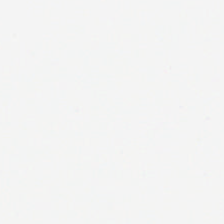Field content = empty background.
